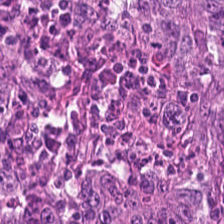FFPE · hematoxylin and eosin.
{"tissue_type": "adenocarcinoma"}
